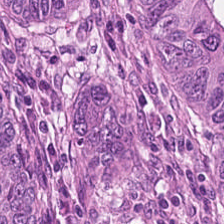H&E patch showing adenocarcinoma.
